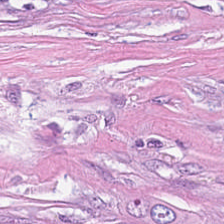H&E — tumor stroma.
